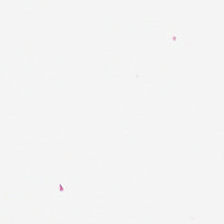Hematoxylin and eosin.
Empty field — background (no tissue).
